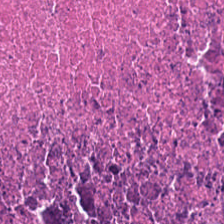{"tissue_type": "necrotic debris"}
